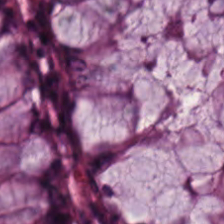224×224 pixel tile · brightfield · hematoxylin-and-eosin stained section.
{"tissue_type": "non-neoplastic colon mucosa"}
